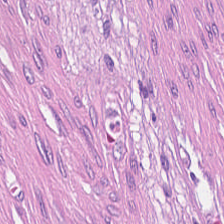The classification is cancer-associated stroma.
